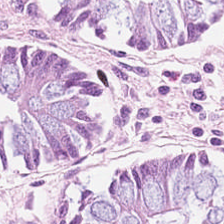Brightfield. 224×224 pixel tile. H&E — {"tissue_type": "non-neoplastic colon mucosa"}
